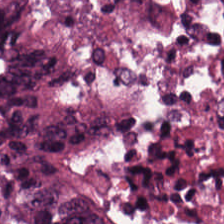Hematoxylin-and-eosin stained section. The tissue type is tumor epithelium.
